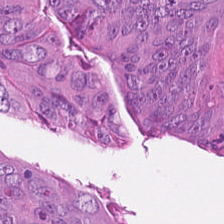Hematoxylin and eosin. Q: What is shown here?
A: This is colorectal adenocarcinoma epithelium.
